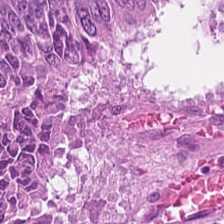H&E stain.
Showing colorectal adenocarcinoma.
